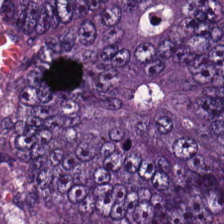224×224 px tile · hematoxylin-and-eosin stained section — Q: What type of tissue is this?
A: It is colorectal adenocarcinoma epithelium.
